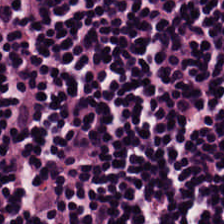H&E stain.
Showing lymphocytes.
